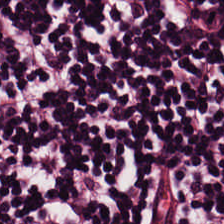Q: What does this patch show?
A: It is lymphoid infiltrate.
